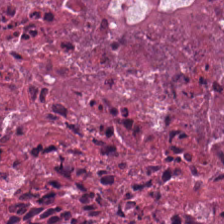H&E-stained tissue section — Q: What type of tissue is this?
A: The field shows debris.
